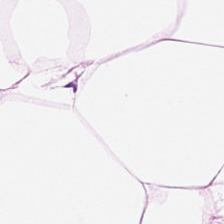Stain: H&E.
Tile size: 224×224 px tile.
Tissue: adipose.
